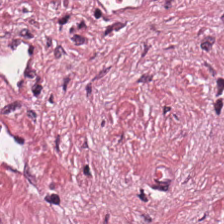Hematoxylin-and-eosin stained section · 20× equivalent magnification — Classification — tumor-associated stroma.
